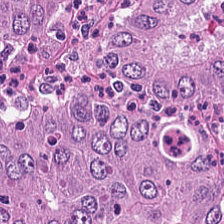Showing colorectal adenocarcinoma.
